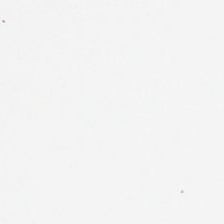Content = background.
